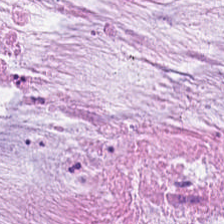Tissue type = extracellular mucin.
